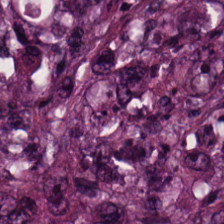Hematoxylin-and-eosin stained section — Q: What tissue type is shown here?
A: This is malignant epithelium.
